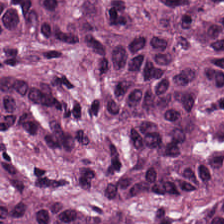Stain: hematoxylin and eosin.
Classification: colorectal adenocarcinoma epithelium.
